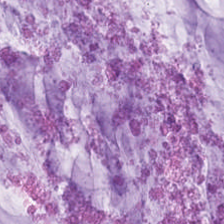H&E stain; 0.5 µm per pixel.
Predominant tissue: mucus.
